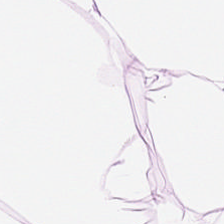H&E-stained tissue section. {"tissue_type": "adipose"}
